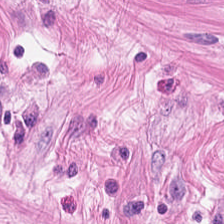Formalin-fixed paraffin-embedded section · H&E · 224×224 pixel tile. Tissue type: smooth muscle.
